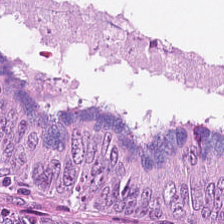Showing adenocarcinoma.
